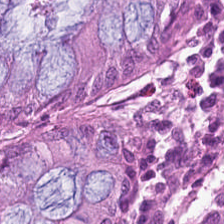H&E.
Q: What does this patch show?
A: It is non-neoplastic colon mucosa.
